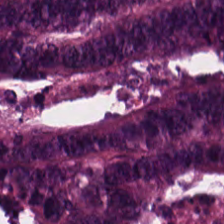Hematoxylin-and-eosin stained section. The predominant tissue is malignant epithelium.
